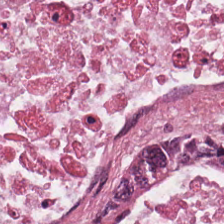Q: Classify this patch.
A: This is adenocarcinoma.
